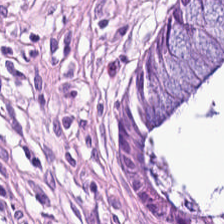Stain: hematoxylin and eosin.
Classification: normal colonic mucosa.
